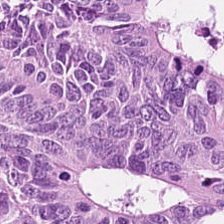H&E patch showing colorectal adenocarcinoma.
